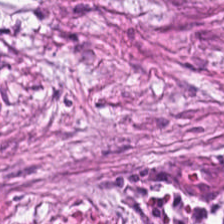Impression — cancer-associated stroma.
